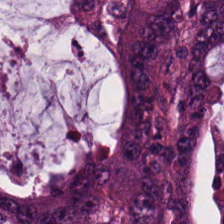H&E. Tissue = malignant epithelium.
